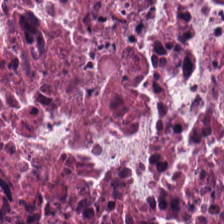H&E — Q: Classify this patch.
A: It is cellular debris.
